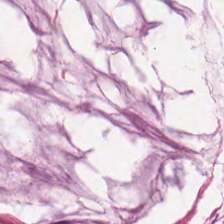Q: What does this patch show?
A: It is mucus.
